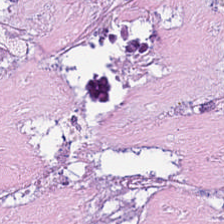Tissue type — necrotic debris.
